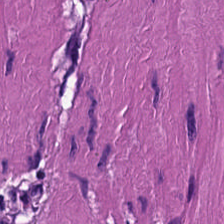H&E-stained tissue section. Formalin-fixed paraffin-embedded section. Brightfield.
Classification = smooth muscle.
